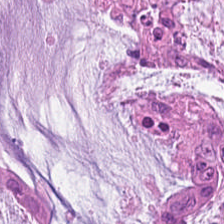H&E-stained tissue section — Extracellular mucin.
